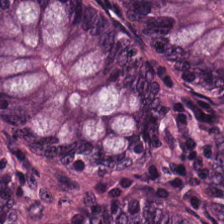H&E-stained tissue section — Tissue type — normal colon mucosa.
